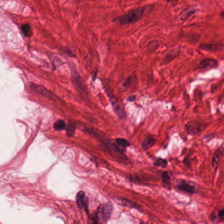H&E; WSI patch.
The predominant tissue is smooth muscle.
